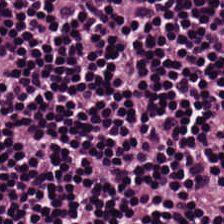Hematoxylin-and-eosin stained section. 0.5 µm per pixel. Tissue class: lymphoid infiltrate.
